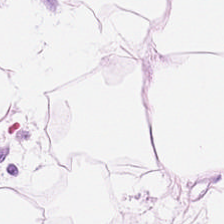{"tissue_type": "adipose"}
